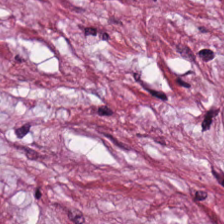Stain: H&E stain.
Predominant tissue: tumor stroma.
